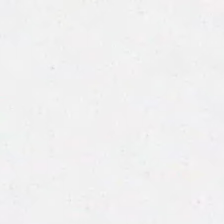H&E-stained tissue section; 0.5 µm/px — Background — no tissue in this field.
